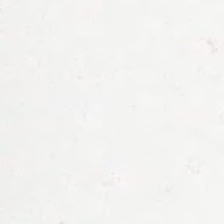This field is background (no tissue).
